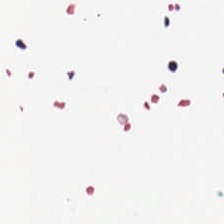Stain: H&E.
Classification: no tissue.
